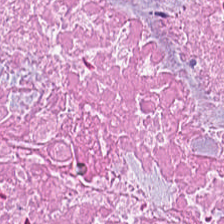H&E. Showing cellular debris.
